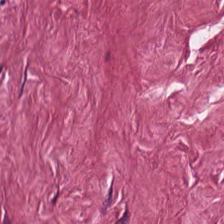H&E-stained tissue section.
The tissue here is desmoplastic stroma.
